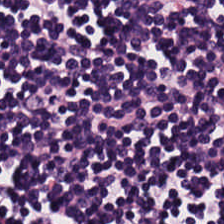H&E stain · whole-slide-image patch — Classification: lymphocyte aggregate.
